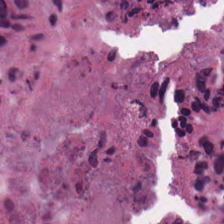Formalin-fixed paraffin-embedded section. Brightfield. H&E-stained tissue section.
Tissue — debris.
